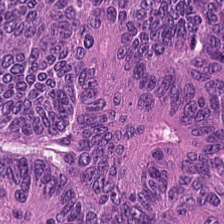Whole-slide-image patch. 0.5 microns per pixel. H&E — Q: What is shown here?
A: This is colorectal adenocarcinoma.
